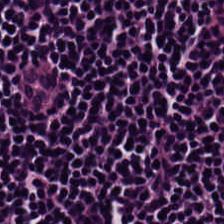FFPE. H&E-stained tissue section — The predominant tissue is lymphocytic infiltrate.
